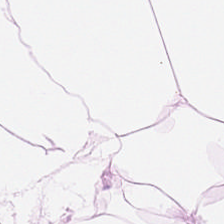Hematoxylin and eosin.
This field is adipocytes.
